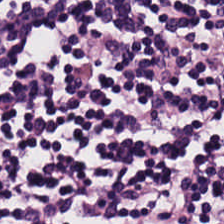The tissue class is lymphocyte aggregate.
